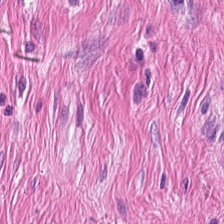Hematoxylin and eosin — The tissue here is smooth muscle.
